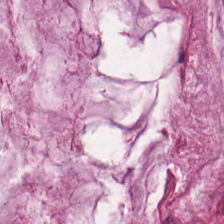The tissue class is extracellular mucin.
